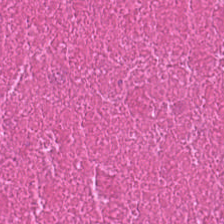H&E; FFPE.
Q: Classify this patch.
A: It is cellular debris.
